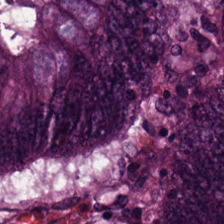Q: What is the predominant tissue type?
A: This is colorectal adenocarcinoma epithelium.
